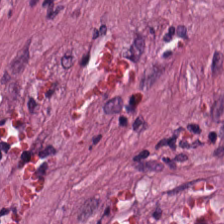H&E-stained tissue section. Showing cancer-associated stroma.
